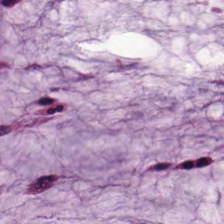Hematoxylin-and-eosin stained section. WSI patch. 0.5 µm per pixel.
Mucin.
